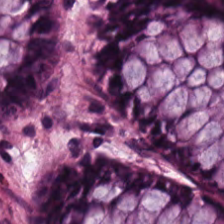Showing normal colon mucosa.
